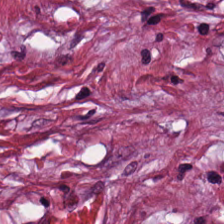Stain: hematoxylin and eosin.
Preparation: FFPE.
Tissue: tumor-associated stroma.
